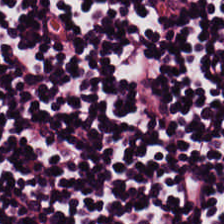H&E — lymphocytic infiltrate.
